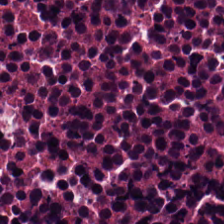Whole-slide-image patch. Hematoxylin and eosin.
{"tissue_type": "necrotic debris"}
